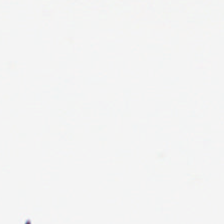Stain: H&E stain.
Classification: empty background.
